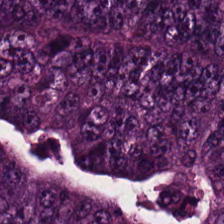Q: Classify this patch.
A: The field shows colorectal adenocarcinoma epithelium.
